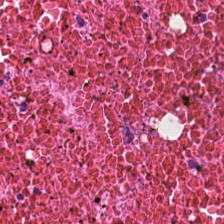H&E; 0.5 µm/px.
Classification: necrotic debris.
